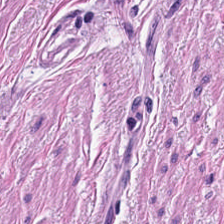Hematoxylin and eosin · FFPE · 20× equivalent magnification — Showing smooth-muscle tissue.
